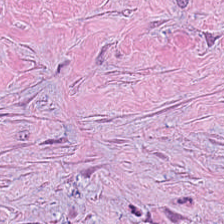{"tissue_type": "desmoplastic stroma"}
